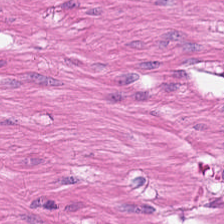Histology — smooth-muscle tissue.
